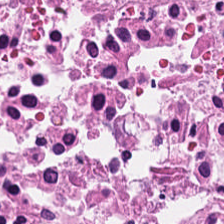Formalin-fixed paraffin-embedded section. H&E-stained tissue section.
Tissue type — debris.
